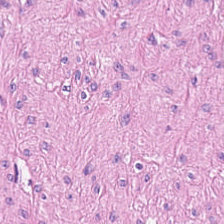Hematoxylin-and-eosin stained section. {"tissue_type": "smooth-muscle tissue"}
